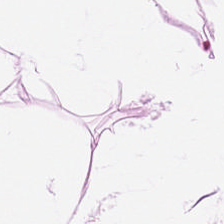20× equivalent magnification · formalin-fixed paraffin-embedded section · H&E-stained tissue section.
Histology → adipose.
